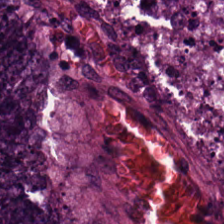224×224 px tile. Hematoxylin-and-eosin stained section.
Q: Identify the tissue.
A: It is malignant epithelium.
